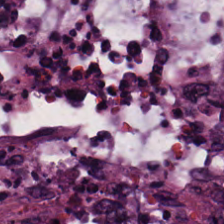H&E stain. This field is tumor epithelium.
